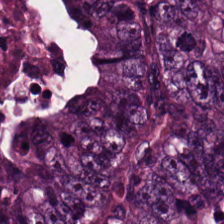WSI patch. H&E stain.
The predominant tissue is tumor epithelium.
